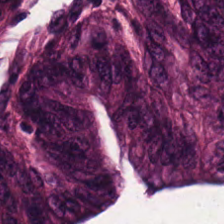Hematoxylin-and-eosin stained section. This field is colorectal adenocarcinoma.
